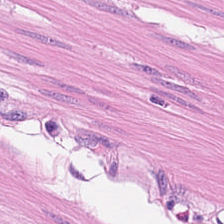Hematoxylin-and-eosin stained section; 224×224 pixel tile; 20× equivalent magnification — Q: What does this patch show?
A: Smooth muscle.
